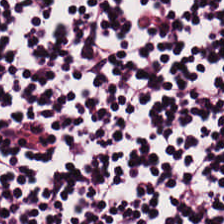The classification is lymphocytes.
